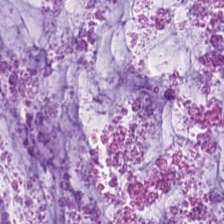H&E stain; whole-slide-image patch — {"tissue_type": "mucus"}
